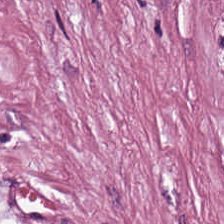Tumor-associated stroma.
